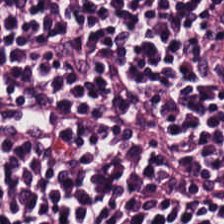224×224 px tile; hematoxylin and eosin; 20× equivalent magnification — Q: What tissue is shown?
A: It is lymphocytic infiltrate.
